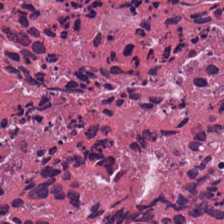H&E-stained tissue section.
Q: What does this patch show?
A: This is debris.
